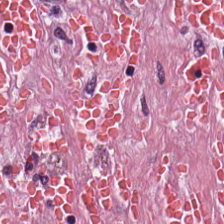H&E stain — Finding → tumor-associated stroma.
